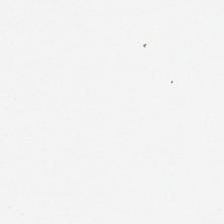H&E stain — Impression — background (no tissue).
